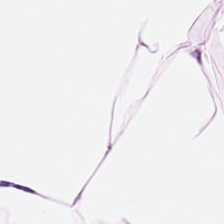H&E. Q: What tissue type is shown here?
A: Fat tissue.
